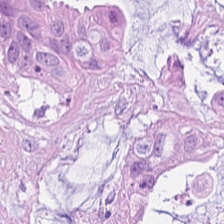Stain: hematoxylin and eosin.
Acquisition: brightfield microscopy.
Predominant tissue: mucus.
